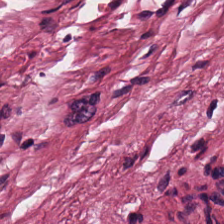Stain: hematoxylin and eosin.
Preparation: FFPE.
Tissue type: desmoplastic stroma.
